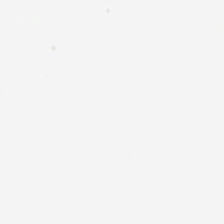0.5 microns per pixel · 224×224 pixel tile · H&E — Empty field — background (no tissue).
